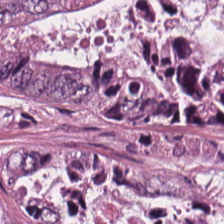H&E. FFPE — Impression — adenocarcinoma.
